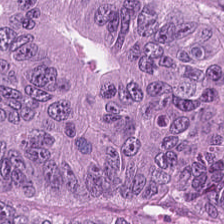H&E-stained tissue section. Q: What is shown in this field?
A: It is tumor epithelium.
